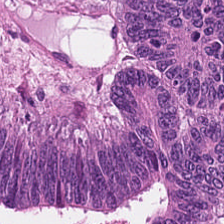Hematoxylin-and-eosin stained section — The predominant tissue is malignant epithelium.
